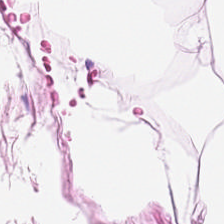20× equivalent magnification · H&E-stained tissue section — Classification — adipose.
